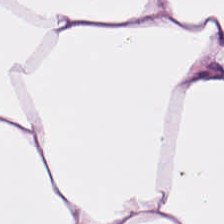{"tissue_type": "adipose"}
